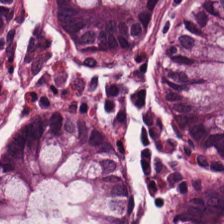The tissue here is benign colonic mucosa.
